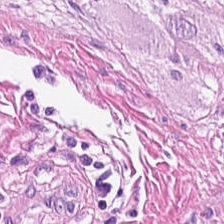H&E.
The tissue type is smooth-muscle tissue.
